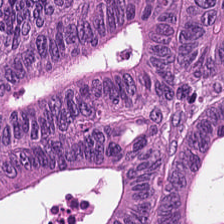H&E-stained tissue section.
Impression → colorectal adenocarcinoma epithelium.
